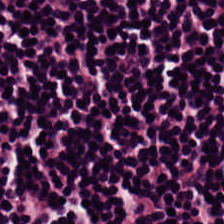Hematoxylin and eosin; 224×224 px patch; brightfield microscopy. Tissue type = lymphocytic infiltrate.
